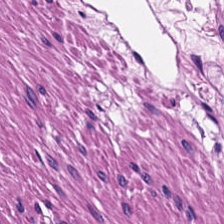Tissue = smooth muscle.
